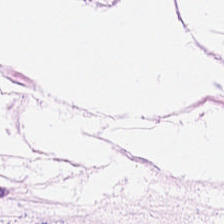H&E-stained section; the field shows adipocytes.
